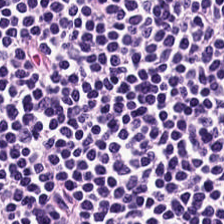Hematoxylin and eosin. Q: Classify this patch.
A: This is lymphocytes.
